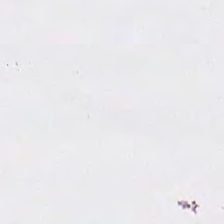No tissue present; background only.
